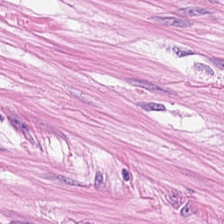H&E stain. This patch shows smooth muscle.
